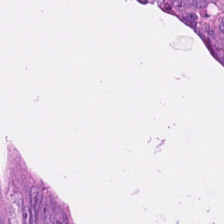FFPE tissue section; H&E-stained tissue section. Histology — colorectal adenocarcinoma.
